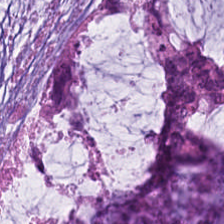FFPE tissue section; 0.5 µm per pixel; H&E stain. Tissue: mucus.
